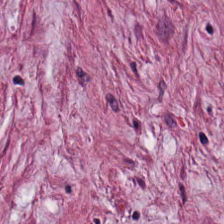224×224 pixel tile · H&E stain — Tissue class: tumor-associated stroma.
